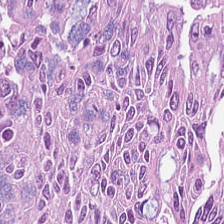Hematoxylin and eosin. The predominant tissue is colorectal adenocarcinoma epithelium.
